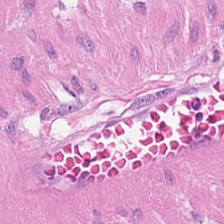H&E stain. Tissue — muscularis.
